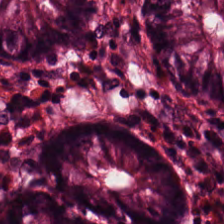Hematoxylin-and-eosin stained section. Whole-slide-image patch.
Q: Identify the tissue.
A: This is normal colonic mucosa.
